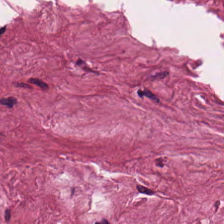Q: What does this patch show?
A: This is cancer-associated stroma.
